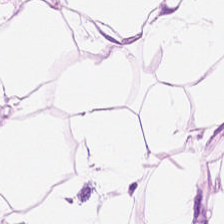0.5 µm/px. Hematoxylin-and-eosin stained section.
The tissue is adipose tissue.
